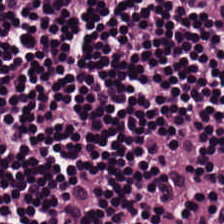H&E stain · 224×224 px tile — Impression — lymphocyte aggregate.
